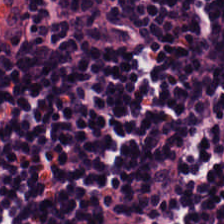Hematoxylin-and-eosin stained section · 224×224 pixel tile.
Histology → lymphoid infiltrate.
